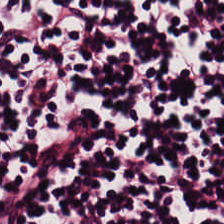Formalin-fixed paraffin-embedded section · 0.5 microns per pixel · H&E — Showing lymphoid infiltrate.
